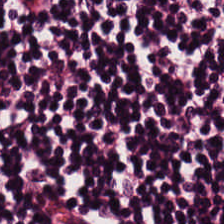H&E stain.
This patch shows lymphocytic infiltrate.
